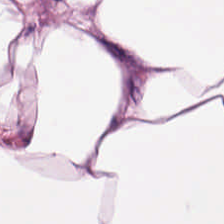0.5 µm per pixel. 224×224 px tile. Hematoxylin and eosin.
Adipose tissue.
